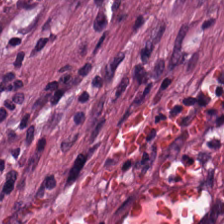Tissue type — tumor stroma.
